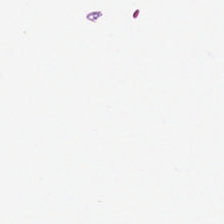Stain: H&E stain.
Classification: no tissue.
